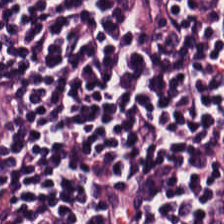H&E.
The predominant tissue is lymphocyte aggregate.
